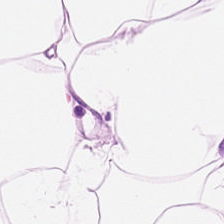H&E-stained tissue section.
This patch shows fat tissue.
